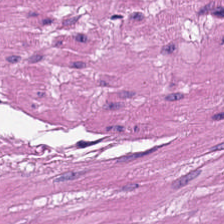FFPE tissue section; H&E — Histology → muscularis.
